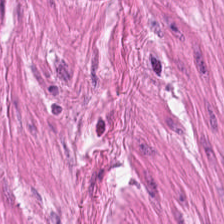H&E-stained tissue section. 224×224 px tile — Tissue = smooth-muscle tissue.
